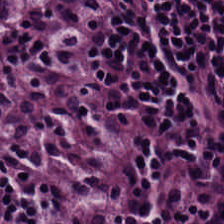H&E; FFPE tissue section — This field is lymphocytes.
